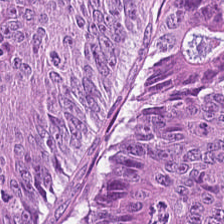Hematoxylin and eosin — Tissue class — tumor epithelium.
